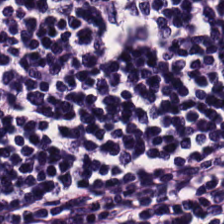Stain: hematoxylin-and-eosin stained section.
Classification: lymphocytes.
